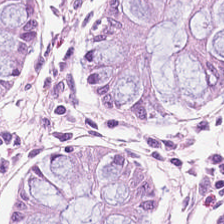Tissue type = normal colon mucosa.
